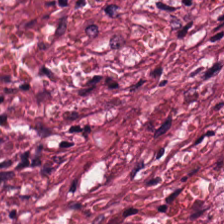H&E-stained tissue section.
The predominant tissue is tumor-associated stroma.
